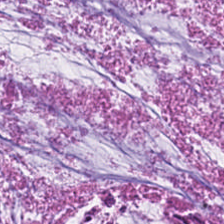H&E stain — The tissue here is mucus.
